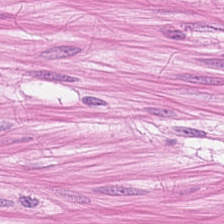Classification = smooth muscle.
